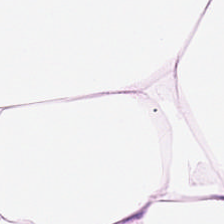224×224 pixel tile. Hematoxylin-and-eosin stained section.
Showing fat tissue.
